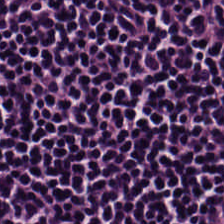FFPE tissue section · H&E — Showing lymphocyte aggregate.
